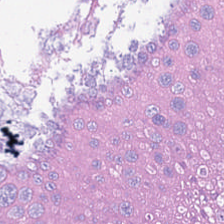Stain: H&E.
Predominant tissue: tumor epithelium.
